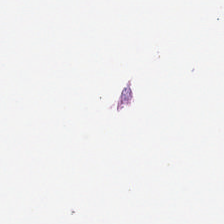This patch shows empty background.
